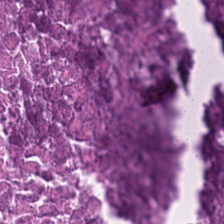Tissue type — necrotic debris.
